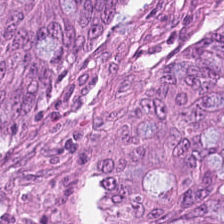Hematoxylin and eosin. Finding → tumor epithelium.
